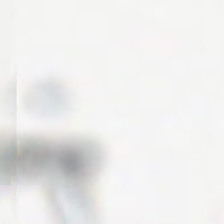Hematoxylin-and-eosin stained section.
Empty field — background (no tissue).
